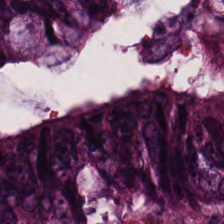Hematoxylin-and-eosin stained section; FFPE tissue section; 224×224 pixel tile — Predominantly colorectal adenocarcinoma.
